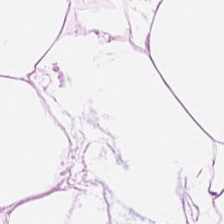H&E — Showing fat tissue.
